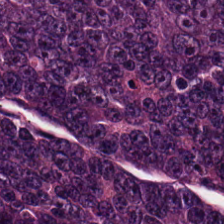Q: What is shown here?
A: It is colorectal adenocarcinoma.
